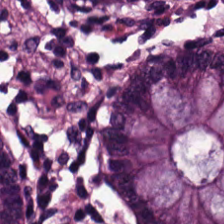0.5 microns per pixel · 224×224 pixel tile · H&E-stained tissue section — Predominant tissue = non-neoplastic colon mucosa.
